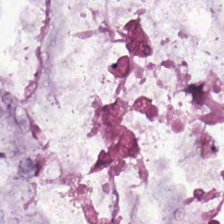The tissue here is extracellular mucin.
